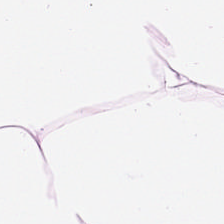H&E — Classification: adipocytes.
